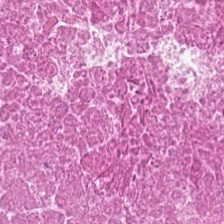Hematoxylin and eosin — {"tissue_type": "debris"}
